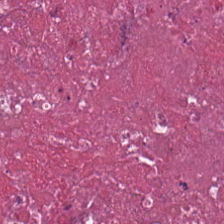Formalin-fixed paraffin-embedded section · brightfield · H&E-stained tissue section. Predominantly necrotic debris.
